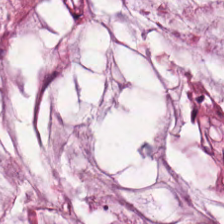Hematoxylin-and-eosin stained section — Tissue — mucin.
